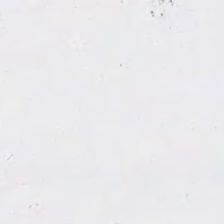Hematoxylin and eosin. Field content — background (no tissue).
